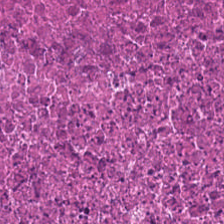Hematoxylin-and-eosin stained section. Q: Identify the tissue.
A: The field shows necrotic debris.
